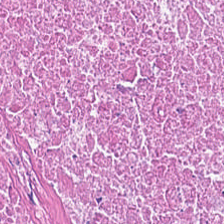Stain: hematoxylin-and-eosin stained section.
Tissue type: cellular debris.
